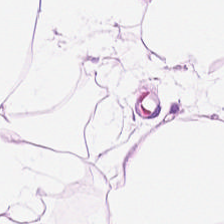FFPE. Hematoxylin-and-eosin stained section.
Q: Identify the tissue.
A: This is adipose tissue.
